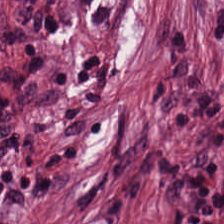H&E-stained tissue section showing tumor stroma.
